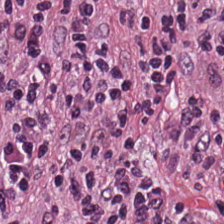224×224 px patch. Brightfield. H&E. Predominantly lymphoid infiltrate.
